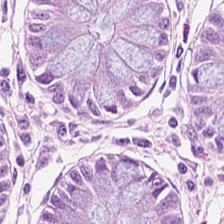H&E-stained section; the field shows benign colonic mucosa.
